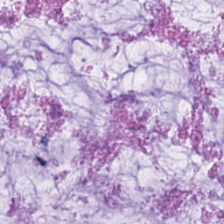Stain: H&E.
Tissue: mucin.
